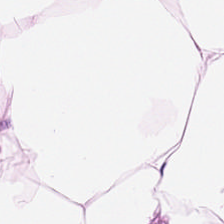0.5 µm/px · H&E — Q: What is shown here?
A: It is adipose tissue.
